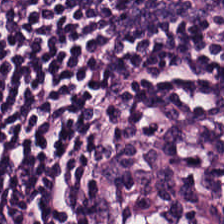0.5 µm per pixel; 224×224 px tile; H&E. Histology — lymphoid infiltrate.
